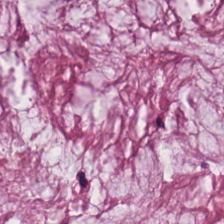H&E-stained tissue section — The classification is mucin.
